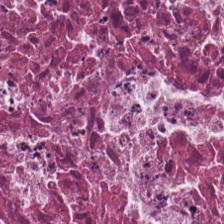20× equivalent magnification · hematoxylin and eosin — The tissue here is necrotic debris.
